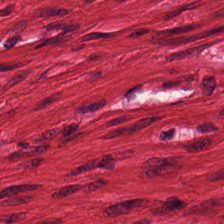Formalin-fixed paraffin-embedded section · hematoxylin-and-eosin stained section. {"tissue_type": "smooth-muscle tissue"}
